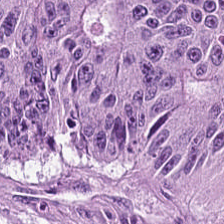Formalin-fixed paraffin-embedded section; hematoxylin-and-eosin stained section; brightfield — Q: What type of tissue is this?
A: This is malignant epithelium.
